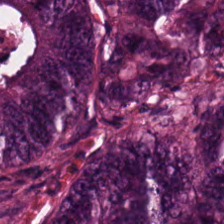H&E. 224×224 px tile. FFPE tissue section. The predominant tissue is malignant epithelium.
